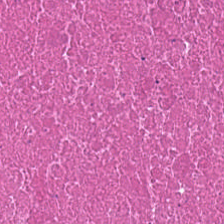Stain: H&E-stained tissue section.
Tissue type: debris.
